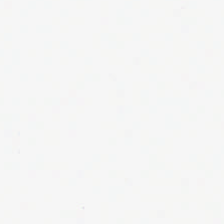H&E-stained tissue section · 20× equivalent magnification — Content = empty background.
